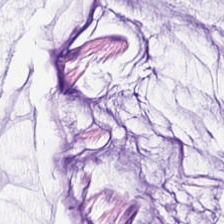Hematoxylin and eosin. Brightfield microscopy.
Tissue = mucin.
